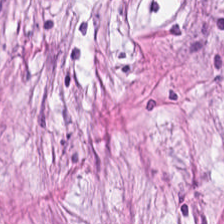Predominantly desmoplastic stroma.
